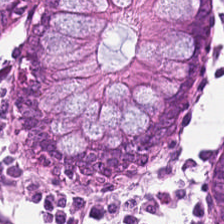FFPE tissue section; H&E stain; 224×224 px tile — This patch shows non-neoplastic colon mucosa.
